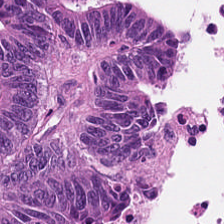H&E-stained tissue section.
Q: Classify this patch.
A: Tumor epithelium.
